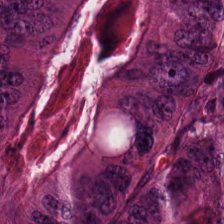H&E stain. The predominant tissue is adenocarcinoma.
